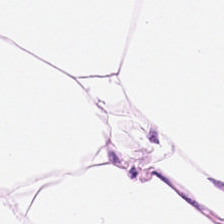Hematoxylin and eosin; FFPE tissue section. Finding — adipose tissue.
